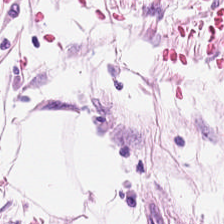Hematoxylin and eosin. 224×224 px patch. Impression — fat tissue.
